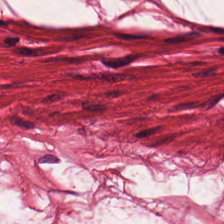Showing smooth muscle.
